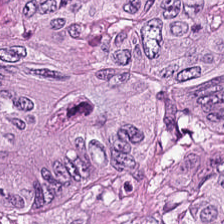Hematoxylin and eosin.
The predominant tissue is adenocarcinoma.
